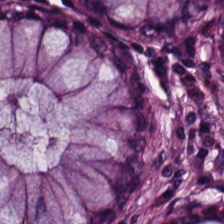H&E stain.
{"tissue_type": "normal colon mucosa"}
